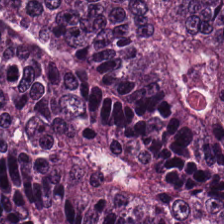H&E-stained tissue section showing malignant epithelium.
